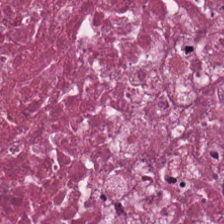Hematoxylin and eosin · FFPE tissue section. Showing necrotic debris.
